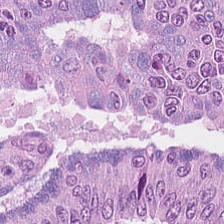H&E stain.
The tissue here is tumor epithelium.
